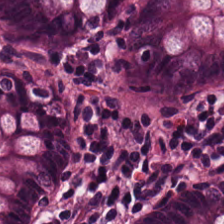H&E-stained tissue section.
The classification is non-neoplastic colon mucosa.
